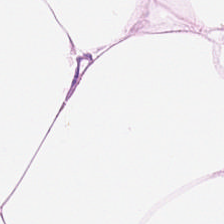This patch shows fat tissue.
